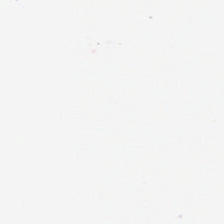Empty field — empty background.
